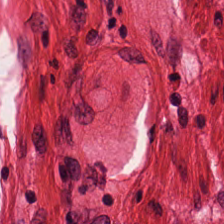Stain: H&E.
Tissue class: smooth muscle.
